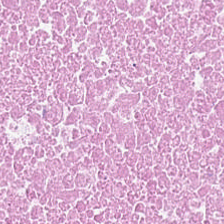H&E-stained tissue section.
Impression → cellular debris.
